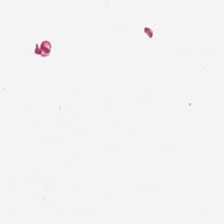Empty field — background.
